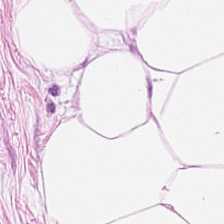224×224 px patch · hematoxylin-and-eosin stained section · WSI patch — Showing fat tissue.
